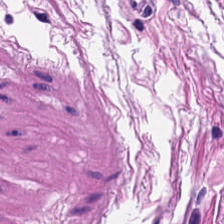Stain: H&E-stained tissue section.
Classification: muscularis.
